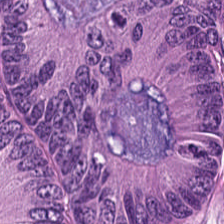The tissue class is adenocarcinoma.
